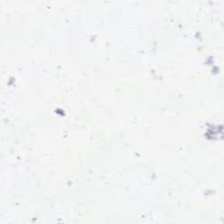Whole-slide-image patch. H&E-stained tissue section. 224×224 pixel tile. Background — no tissue in this field.
